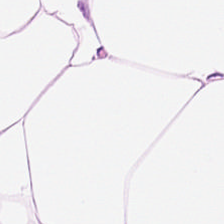0.5 microns per pixel; H&E-stained tissue section; FFPE. This patch shows adipocytes.
